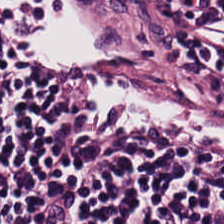H&E-stained tissue section; 0.5 microns per pixel; formalin-fixed paraffin-embedded section.
Showing lymphocytes.
